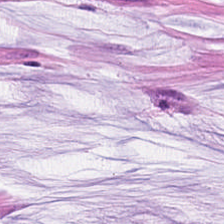Hematoxylin-and-eosin stained section — This patch shows mucus.
